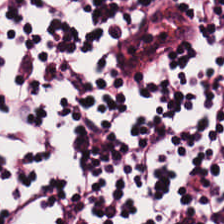H&E-stained section; the field shows lymphocytic infiltrate.
